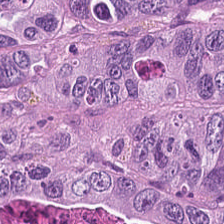Hematoxylin and eosin. Adenocarcinoma.
